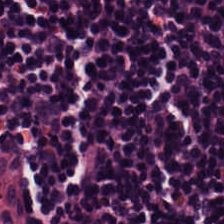Hematoxylin and eosin. Impression — lymphocyte aggregate.
